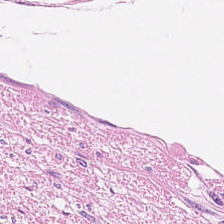H&E-stained tissue section. Showing smooth muscle.
